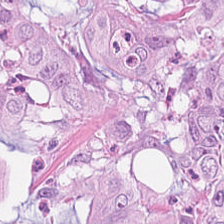Hematoxylin and eosin · FFPE tissue section. Q: What is the predominant tissue type?
A: It is colorectal adenocarcinoma epithelium.
